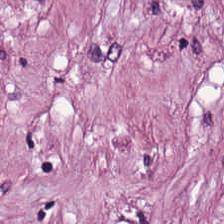Stain: H&E.
Predominant tissue: tumor-associated stroma.
